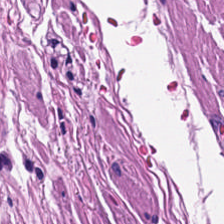H&E — Predominantly smooth muscle.
